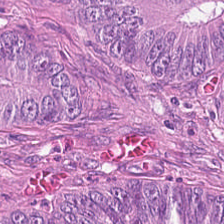224×224 px tile. Hematoxylin-and-eosin stained section. The tissue here is adenocarcinoma.
